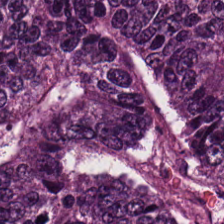Predominantly adenocarcinoma.
